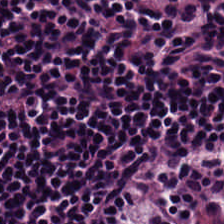Hematoxylin-and-eosin stained section; 0.5 microns per pixel.
Tissue — lymphocytic infiltrate.
